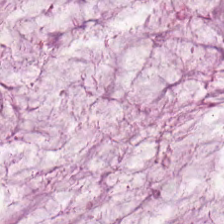H&E stain.
This field is mucus.
